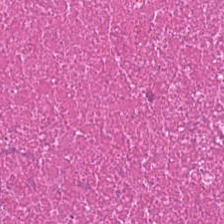Tissue type — cellular debris.
